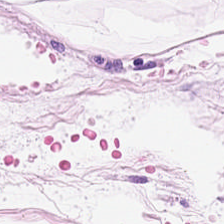Hematoxylin and eosin. 224×224 px patch. {"tissue_type": "adipocytes"}
